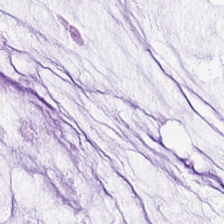Brightfield · H&E stain.
Q: What is the predominant tissue type?
A: The field shows extracellular mucin.
